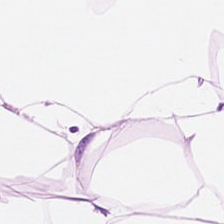Q: What is shown in this field?
A: It is adipocytes.
